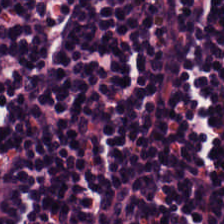Hematoxylin-and-eosin stained section. Classification — lymphoid infiltrate.
